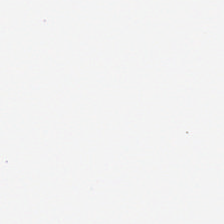Hematoxylin and eosin.
Histology — empty background.
